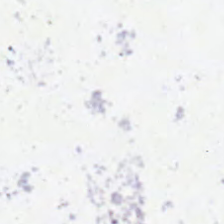0.5 µm/px; H&E stain. This field is background (no tissue).
